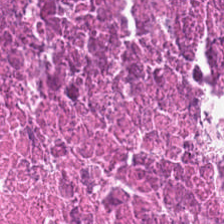224×224 pixel tile. H&E stain. The tissue here is debris.
